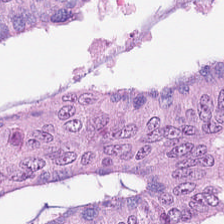H&E.
The predominant tissue is malignant epithelium.
